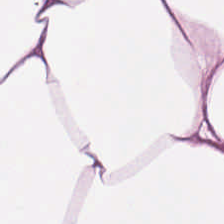FFPE. Whole-slide-image patch. Hematoxylin-and-eosin stained section. The tissue here is adipose.
